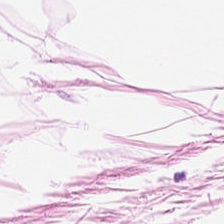Stain: H&E stain.
Predominant tissue: adipose.
